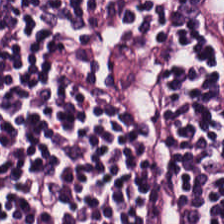224×224 pixel tile. H&E stain. Predominant tissue = lymphocytes.
